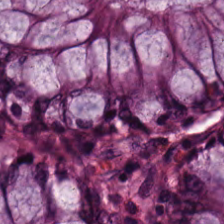Impression → normal colon mucosa.
